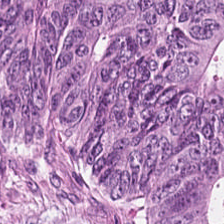Hematoxylin and eosin. Colorectal adenocarcinoma.
